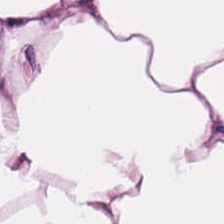Hematoxylin-and-eosin section: adipocytes.
